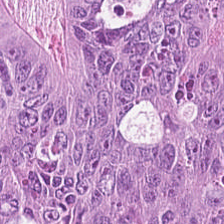Hematoxylin and eosin. Tissue type — adenocarcinoma.
